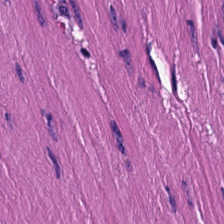FFPE tissue section. H&E stain — Showing smooth-muscle tissue.
